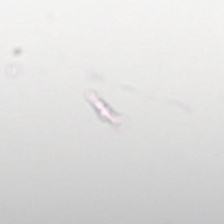0.5 µm/px; H&E-stained tissue section — Empty field — no tissue.
